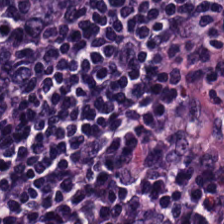H&E-stained tissue section — Predominant tissue = lymphocytic infiltrate.
